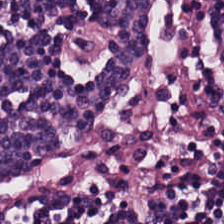Whole-slide-image patch; H&E stain — This patch shows lymphoid infiltrate.
